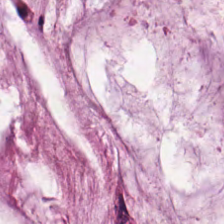H&E; formalin-fixed paraffin-embedded section; 224×224 pixel tile — Classification: extracellular mucin.
